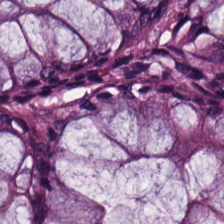Hematoxylin-and-eosin stained section — Normal colon mucosa.
